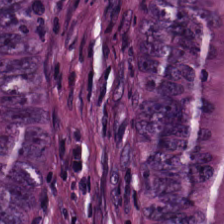Hematoxylin and eosin · 224×224 pixel tile · 0.5 µm per pixel — Tissue type: adenocarcinoma.
